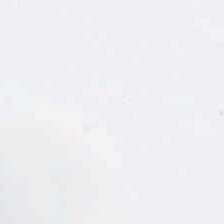H&E-stained tissue section.
This patch shows background.
